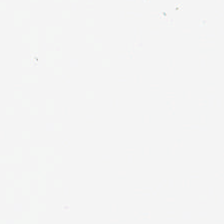H&E stain — Classification = background (no tissue).
